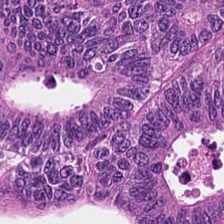Hematoxylin-and-eosin stained section — This field is colorectal adenocarcinoma epithelium.
